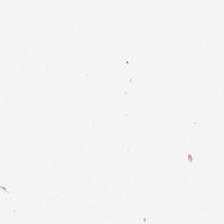H&E-stained tissue section; 224×224 pixel tile. This patch shows background (no tissue).
